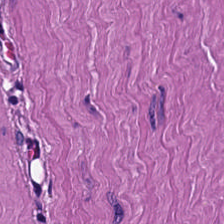H&E stain — Showing muscularis.
